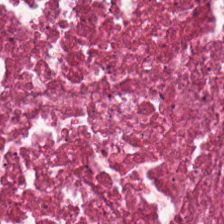H&E.
Q: What tissue type is shown here?
A: This is cellular debris.
